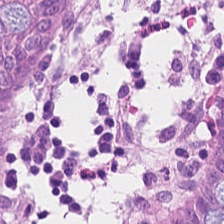Tissue type — benign colonic mucosa.
